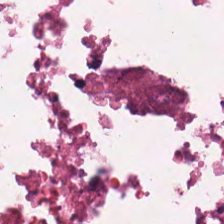Hematoxylin and eosin. 224×224 px patch. The predominant tissue is cellular debris.
